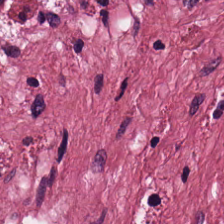{"tissue_type": "tumor stroma"}
